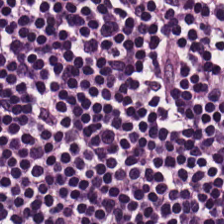Stain: H&E stain.
Acquisition: WSI patch.
Tissue: lymphoid infiltrate.
